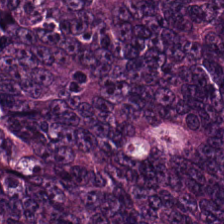H&E.
Tissue class — malignant epithelium.
